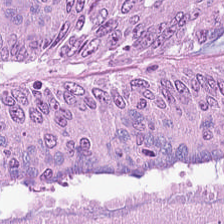Hematoxylin-and-eosin stained section · 224×224 pixel tile.
Tissue class — colorectal adenocarcinoma epithelium.
